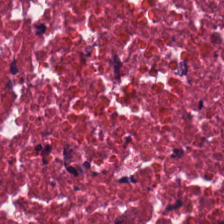Hematoxylin and eosin.
Tissue type: cellular debris.
